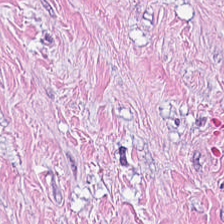Showing desmoplastic stroma.
